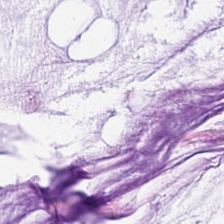20× equivalent magnification · hematoxylin-and-eosin stained section · FFPE. Q: Identify the tissue.
A: It is mucus.
